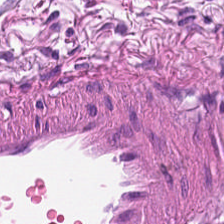Smooth muscle.
